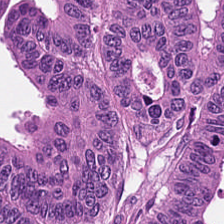Brightfield. H&E-stained tissue section — The classification is colorectal adenocarcinoma epithelium.
